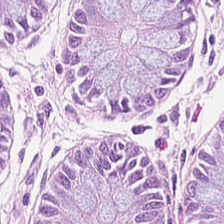Hematoxylin and eosin.
The predominant tissue is normal colonic mucosa.
